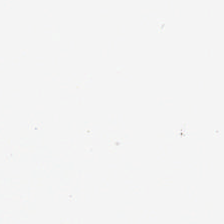H&E stain · brightfield microscopy. The field content is no tissue.
